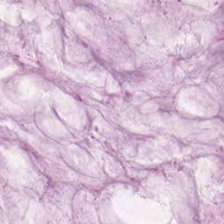The predominant tissue is extracellular mucin.
